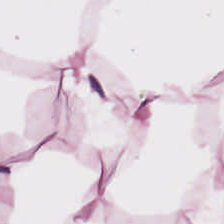Hematoxylin-and-eosin stained section.
Adipocytes.
